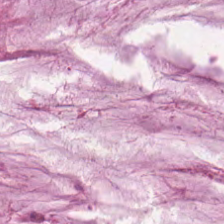Predominantly extracellular mucin.
